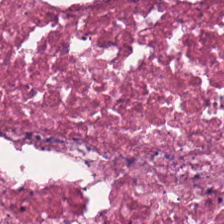0.5 microns per pixel; H&E stain.
Showing necrotic debris.
